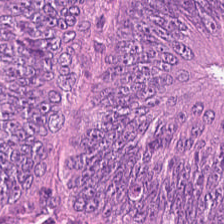H&E-stained tissue section — Predominant tissue — malignant epithelium.
